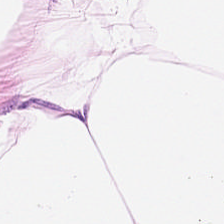H&E.
The predominant tissue is adipose.
